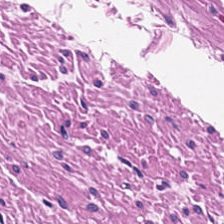Hematoxylin-and-eosin stained section. 0.5 µm per pixel. The predominant tissue is muscularis.
